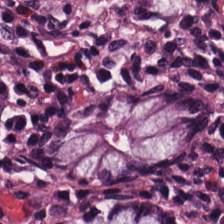Stain: hematoxylin-and-eosin stained section.
Tissue: normal colon mucosa.
